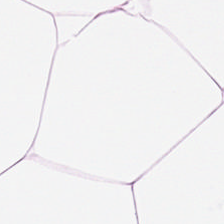H&E-stained tissue section.
This field is adipocytes.
